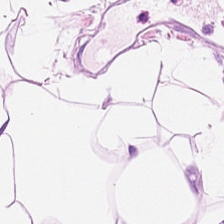Hematoxylin-and-eosin section: fat tissue.
